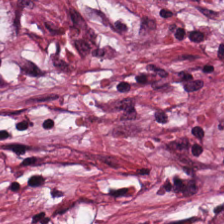H&E. 0.5 µm/px.
Predominant tissue: tumor-associated stroma.
